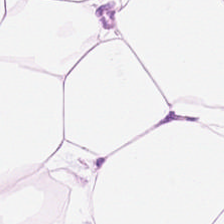Predominant tissue: adipocytes.
